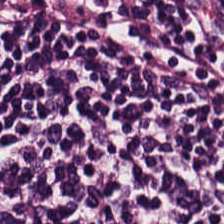0.5 µm per pixel; H&E stain — This patch shows lymphoid infiltrate.
